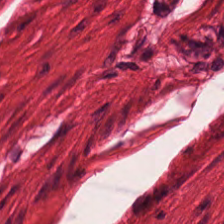Tissue type = muscularis.
